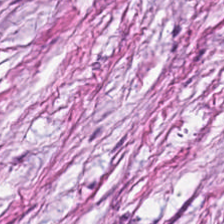Finding → tumor-associated stroma.
